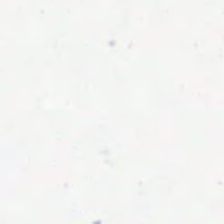No tissue.
